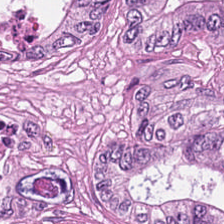Hematoxylin and eosin. Q: What is shown here?
A: It is adenocarcinoma.
